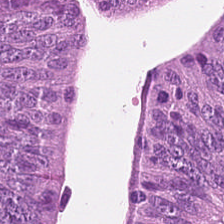Hematoxylin-and-eosin stained section · WSI patch.
This field is colorectal adenocarcinoma epithelium.
